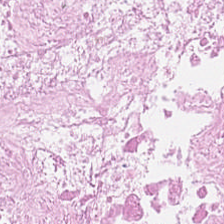H&E-stained tissue section; brightfield. The predominant tissue is cellular debris.
